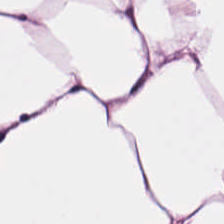224×224 px tile. H&E-stained tissue section. FFPE.
The tissue is adipose tissue.
